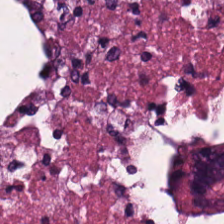Hematoxylin-and-eosin stained section. Finding — cellular debris.
